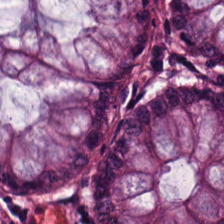Stain: H&E.
Tissue class: benign colonic mucosa.
